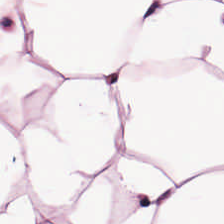H&E-stained section; the field shows adipose tissue.
